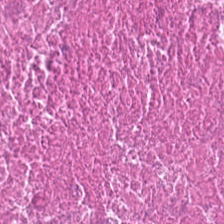Hematoxylin and eosin. Q: What is shown here?
A: This is necrotic debris.
